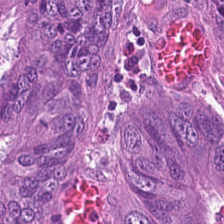FFPE tissue section. Hematoxylin-and-eosin stained section. Q: Identify the tissue.
A: The field shows colorectal adenocarcinoma epithelium.
